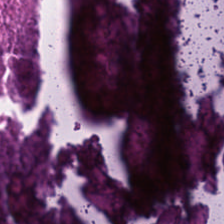Stain: H&E-stained tissue section.
Tissue: debris.
